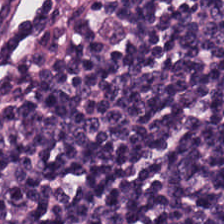H&E-stained tissue section · 0.5 microns per pixel. Q: What is the predominant tissue type?
A: This is lymphocytes.
